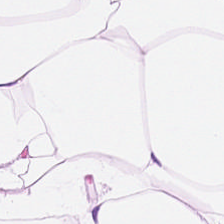Stain: H&E-stained tissue section.
Tissue: adipocytes.
